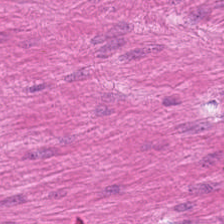Hematoxylin and eosin. Predominantly smooth-muscle tissue.
